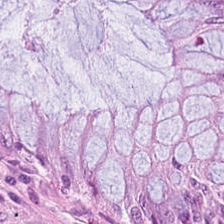H&E. The predominant tissue is benign colonic mucosa.
